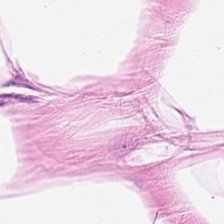Hematoxylin-and-eosin stained section · FFPE. Q: What does this patch show?
A: Adipose.
